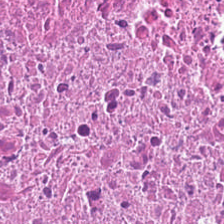Hematoxylin and eosin — This field is cellular debris.
